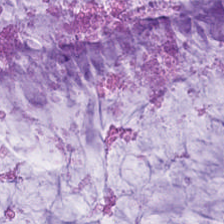H&E stain. Mucus.
